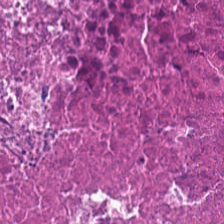Stain: H&E stain.
Acquisition: brightfield.
Resolution: 0.5 microns per pixel.
Classification: necrotic debris.
